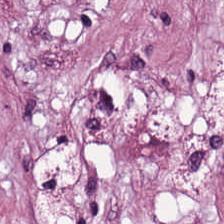0.5 microns per pixel; hematoxylin and eosin. Desmoplastic stroma.
